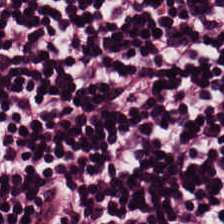Q: What does this patch show?
A: Lymphocyte aggregate.
